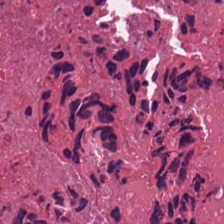H&E stain. Showing necrotic debris.
